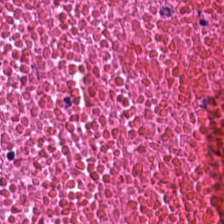H&E-stained tissue section · 0.5 µm per pixel.
Tissue: cellular debris.
